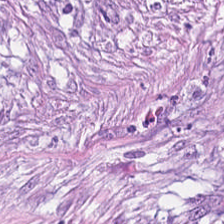H&E.
This patch shows tumor-associated stroma.
